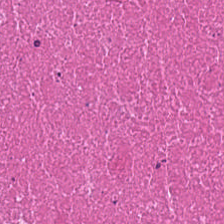Formalin-fixed paraffin-embedded section; H&E-stained tissue section; 0.5 µm/px — Q: What does this patch show?
A: This is cellular debris.
